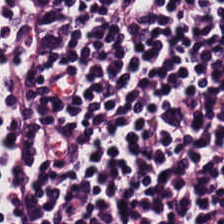H&E stain; formalin-fixed paraffin-embedded section — Q: What is shown here?
A: Lymphocytes.
